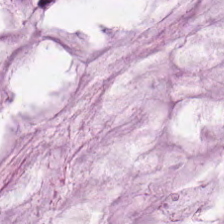0.5 µm per pixel; brightfield microscopy; hematoxylin-and-eosin stained section.
Q: What does this patch show?
A: The field shows extracellular mucin.
